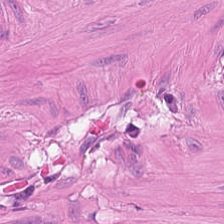H&E — smooth muscle.
